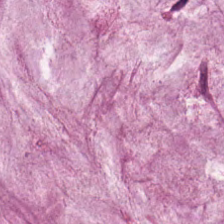H&E stain; 224×224 pixel tile.
Extracellular mucin.
